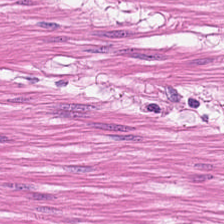Stain: hematoxylin-and-eosin stained section.
Acquisition: whole-slide-image patch.
Classification: muscularis.
